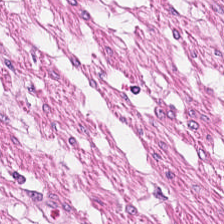H&E.
Q: What is shown here?
A: Muscularis.
